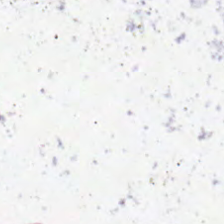224×224 px patch. H&E — Q: Classify this patch.
A: This is background.
